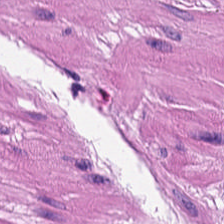Q: What tissue is shown?
A: The field shows smooth-muscle tissue.
